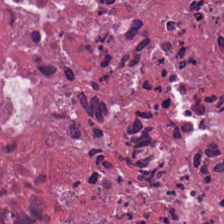H&E.
The predominant tissue is necrotic debris.
